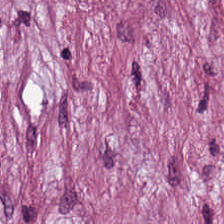Brightfield microscopy · H&E-stained tissue section · FFPE tissue section. Showing cancer-associated stroma.
